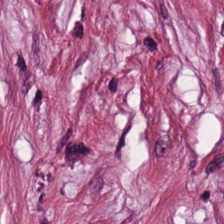FFPE; 224×224 px patch; H&E.
The tissue class is desmoplastic stroma.
